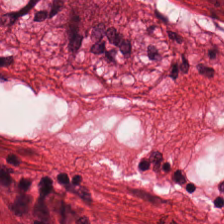Hematoxylin-and-eosin stained section.
Finding → smooth-muscle tissue.
